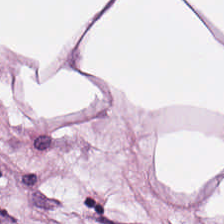H&E; 0.5 µm/px — Classification — adipose tissue.
